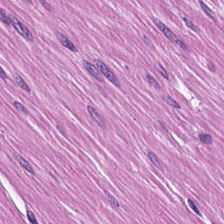H&E-stained tissue section. This field is muscularis.
